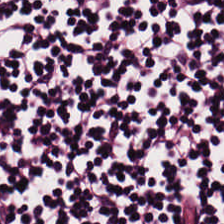Hematoxylin-and-eosin stained section — Tissue class = lymphoid infiltrate.
